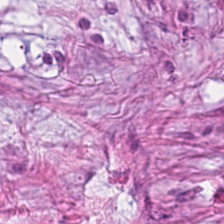H&E stain. 224×224 px tile.
Showing desmoplastic stroma.
